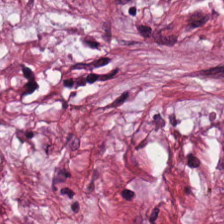H&E — Finding — tumor stroma.
